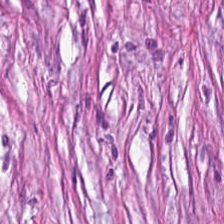H&E · 20× equivalent magnification · 224×224 px tile.
The tissue here is tumor stroma.
